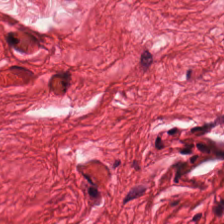Hematoxylin and eosin.
Q: What type of tissue is this?
A: The field shows muscularis.
